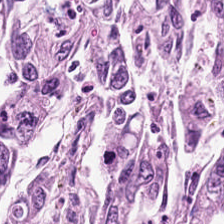FFPE; hematoxylin and eosin.
Q: What is shown in this field?
A: Colorectal adenocarcinoma.
